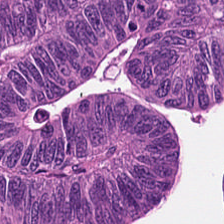Hematoxylin and eosin — Colorectal adenocarcinoma epithelium.
